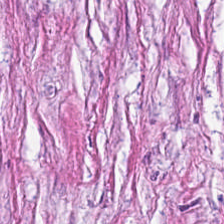FFPE; H&E — Showing tumor-associated stroma.
